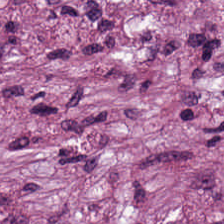Formalin-fixed paraffin-embedded section · hematoxylin-and-eosin stained section.
Q: What type of tissue is this?
A: This is tumor stroma.
